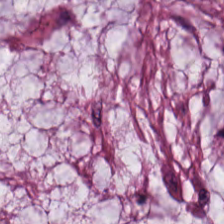Stain: H&E-stained tissue section.
Predominant tissue: extracellular mucin.
